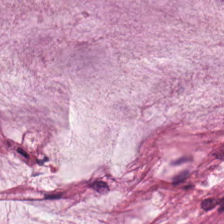H&E-stained tissue section.
This patch shows mucus.
